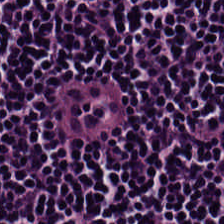H&E stain. Lymphocytic infiltrate.
